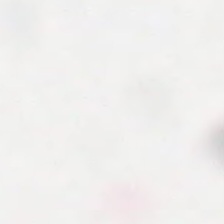H&E stain · 224×224 pixel tile. This field is background (no tissue).
